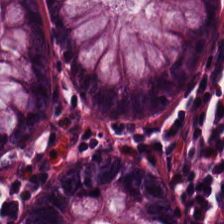Whole-slide-image patch; hematoxylin and eosin. Predominantly normal colon mucosa.
